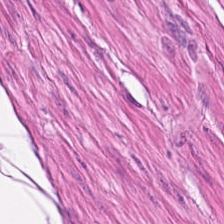This patch shows muscularis.
